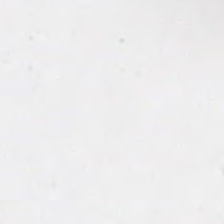H&E. Background — no tissue in this field.
